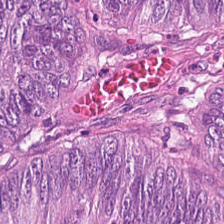224×224 pixel tile · hematoxylin-and-eosin stained section — The tissue here is colorectal adenocarcinoma epithelium.
